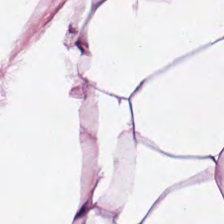Q: What tissue is shown?
A: It is adipose tissue.
